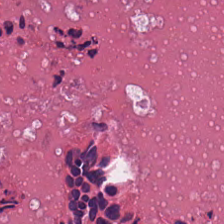Q: What does this patch show?
A: It is debris.
